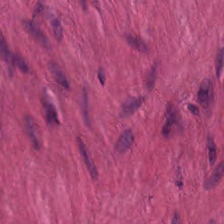H&E stain.
Q: What tissue type is shown here?
A: Smooth-muscle tissue.
